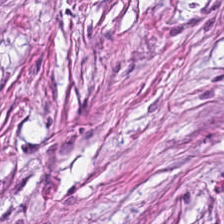H&E-stained tissue section. This patch shows tumor stroma.
